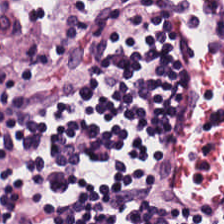H&E. {"tissue_type": "lymphocytes"}
